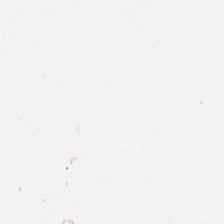Stain: H&E stain.
Field content: background (no tissue).
